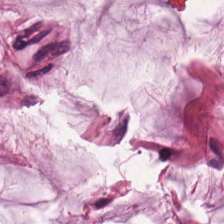Stain: H&E-stained tissue section.
Resolution: 20× equivalent magnification.
Acquisition: brightfield microscopy.
Predominant tissue: extracellular mucin.
